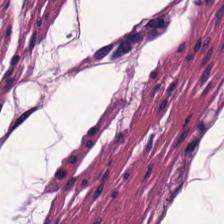Tissue class — smooth-muscle tissue.
